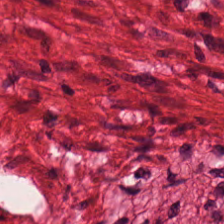Stain: H&E.
Acquisition: whole-slide-image patch.
Tile size: 224×224 px tile.
Tissue class: muscularis.
